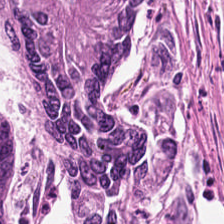H&E stain · 0.5 µm per pixel.
Tissue: colorectal adenocarcinoma epithelium.
